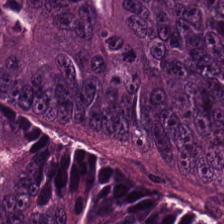H&E-stained tissue section.
Predominantly adenocarcinoma.
